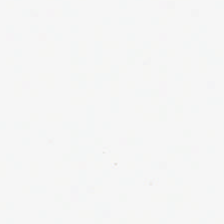H&E stain.
{"content": "empty background"}
